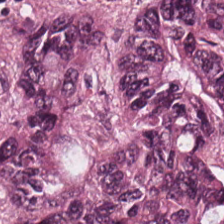H&E-stained tissue section. This field is adenocarcinoma.
